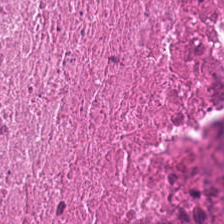H&E-stained tissue section · FFPE. This field is cellular debris.
